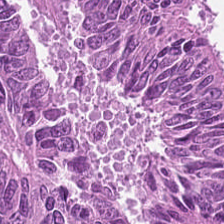FFPE. Hematoxylin and eosin. Impression → tumor epithelium.
